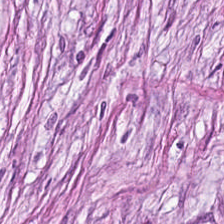Whole-slide-image patch; hematoxylin and eosin. The predominant tissue is cancer-associated stroma.
